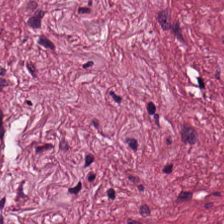Brightfield; hematoxylin-and-eosin stained section.
Predominantly tumor stroma.
